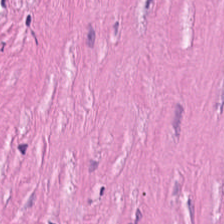Stain: H&E.
Tile size: 224×224 px tile.
Acquisition: brightfield microscopy.
Tissue: cancer-associated stroma.
